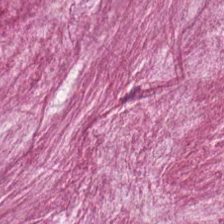Stain: H&E stain.
Predominant tissue: mucus.
